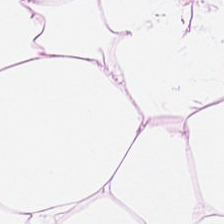H&E stain · FFPE.
Predominantly adipose tissue.
